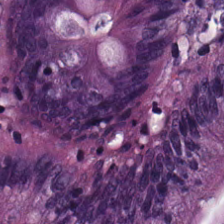Hematoxylin-and-eosin stained section.
Q: What does this patch show?
A: It is normal colon mucosa.
